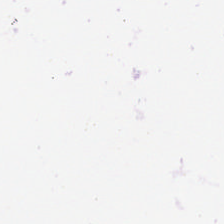Hematoxylin-and-eosin stained section. 0.5 µm/px.
No tissue present; background only.
